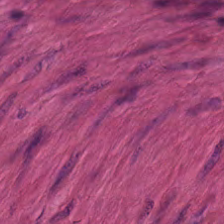H&E stain — The tissue here is smooth muscle.
